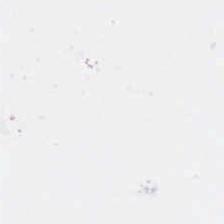H&E-stained tissue section.
No tissue present; background only.
